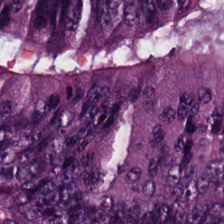H&E-stained tissue section · 224×224 px tile. This field is adenocarcinoma.
